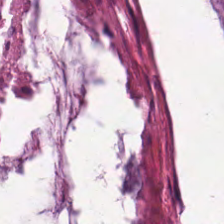H&E stain · FFPE tissue section. Impression — mucin.
